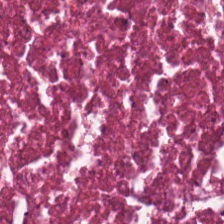Hematoxylin and eosin. 0.5 microns per pixel — Predominant tissue — debris.
